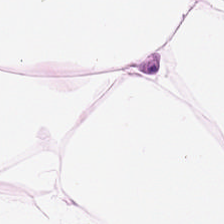FFPE tissue section. Hematoxylin-and-eosin stained section — The tissue is adipocytes.
